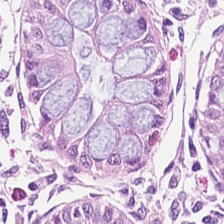Hematoxylin-and-eosin stained section. Q: What tissue type is shown here?
A: This is normal colonic mucosa.
